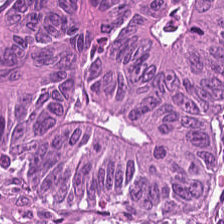Stain: hematoxylin-and-eosin stained section.
Tissue: tumor epithelium.
